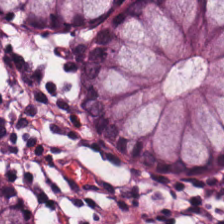FFPE tissue section; H&E; 0.5 µm per pixel — Showing non-neoplastic colon mucosa.
